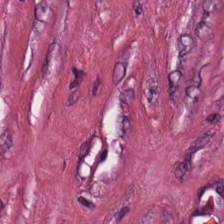The predominant tissue is tumor stroma.
